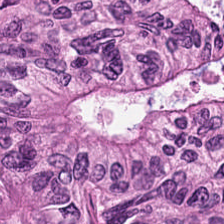Predominant tissue = colorectal adenocarcinoma epithelium.
